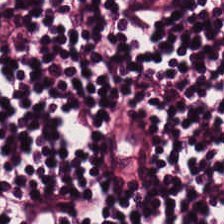Brightfield. Hematoxylin-and-eosin stained section — Classification — lymphocytes.
